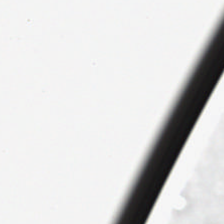H&E-stained tissue section. The field content is background.
